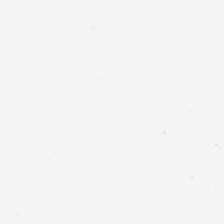Hematoxylin and eosin.
Classification: no tissue.
